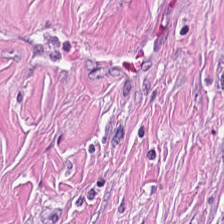H&E stain; FFPE; 224×224 pixel tile — Predominant tissue: cancer-associated stroma.
